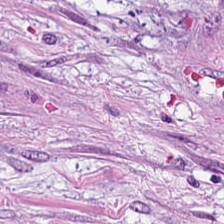H&E stain · 224×224 px patch · FFPE.
Histology → desmoplastic stroma.
